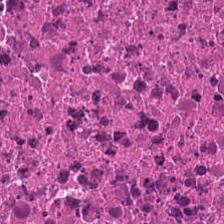Tissue = necrotic debris.
